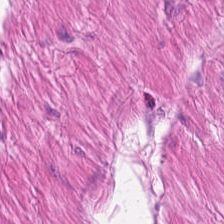Hematoxylin and eosin — Q: What tissue type is shown here?
A: It is smooth muscle.
